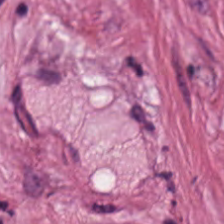Hematoxylin-and-eosin stained section · FFPE — The predominant tissue is desmoplastic stroma.
